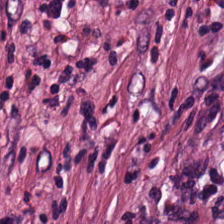Stain: H&E-stained tissue section.
Tile size: 224×224 px patch.
Classification: tumor-associated stroma.
